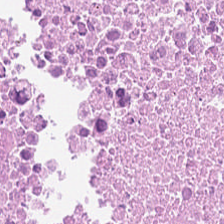Classification — cellular debris.
